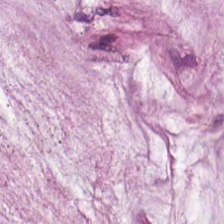H&E-stained tissue section — Tissue = mucin.
